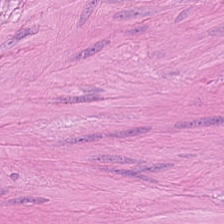Formalin-fixed paraffin-embedded section · WSI patch · hematoxylin-and-eosin stained section — Predominant tissue: smooth muscle.
